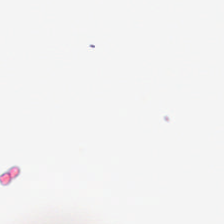Hematoxylin-and-eosin stained section; 0.5 µm/px — Content: background.
